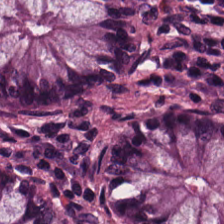H&E. FFPE tissue section. {"tissue_type": "non-neoplastic colon mucosa"}
